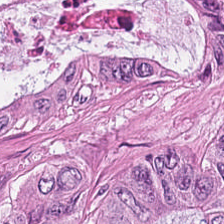Stain: H&E stain.
Acquisition: WSI patch.
Preparation: FFPE tissue section.
Tissue class: colorectal adenocarcinoma.
